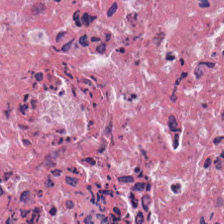20× equivalent magnification; H&E stain; formalin-fixed paraffin-embedded section — This field is necrotic debris.
